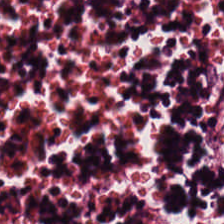H&E-stained tissue section — Histology — lymphoid infiltrate.
